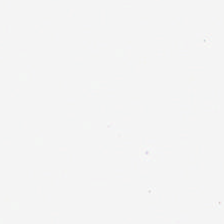H&E stain · 224×224 pixel tile · brightfield microscopy.
Field content — no tissue.
